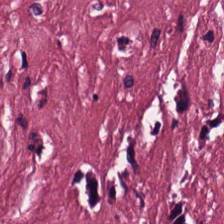224×224 px patch · H&E-stained tissue section.
Q: What tissue type is shown here?
A: It is cancer-associated stroma.
